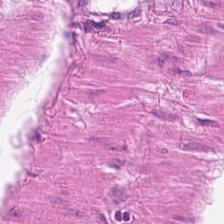Stain: H&E.
Predominant tissue: smooth-muscle tissue.
